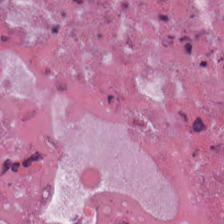Q: Classify this patch.
A: It is debris.
